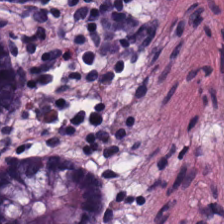The predominant tissue is benign colonic mucosa.
